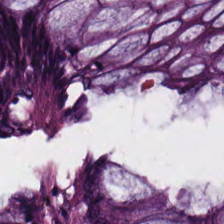Brightfield microscopy; FFPE tissue section; H&E — Showing normal colon mucosa.
